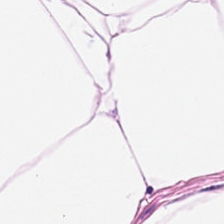Hematoxylin and eosin — Predominant tissue — adipose.
